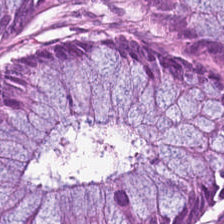H&E stain — Histology — normal colon mucosa.
